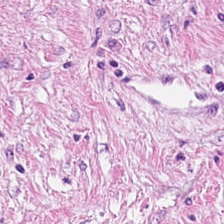Hematoxylin and eosin. Showing cancer-associated stroma.
